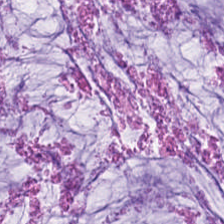Q: What does this patch show?
A: This is mucin.
